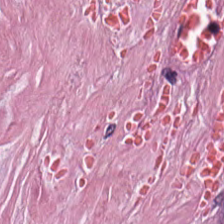H&E. Q: What type of tissue is this?
A: The field shows desmoplastic stroma.
